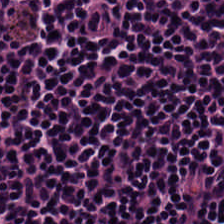Q: What is shown in this field?
A: The field shows lymphoid infiltrate.
